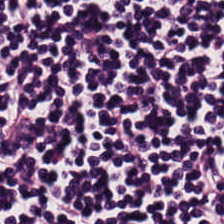0.5 µm per pixel; H&E. {"tissue_type": "lymphocytes"}
